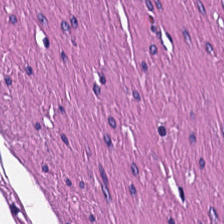Hematoxylin and eosin; FFPE; brightfield microscopy.
Q: Classify this patch.
A: The field shows smooth muscle.
